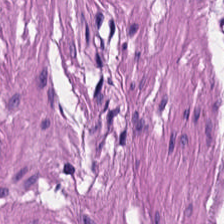Hematoxylin and eosin. Q: Classify this patch.
A: This is muscularis.
